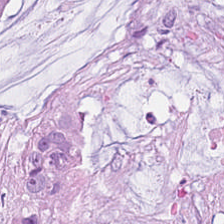Hematoxylin and eosin. This patch shows mucin.
